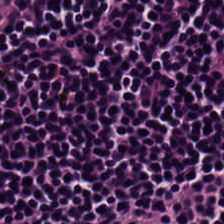Hematoxylin and eosin · WSI patch · 0.5 µm/px.
This field is lymphoid infiltrate.
